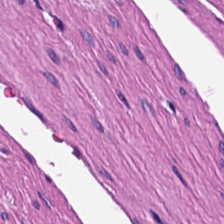Hematoxylin and eosin. Brightfield. Formalin-fixed paraffin-embedded section — The predominant tissue is smooth muscle.
